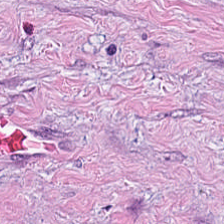WSI patch; hematoxylin and eosin; formalin-fixed paraffin-embedded section — Desmoplastic stroma.
